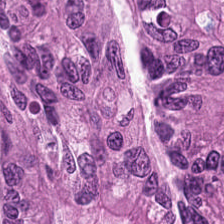224×224 pixel tile. FFPE tissue section. Hematoxylin and eosin — Q: What is the predominant tissue type?
A: Tumor epithelium.
